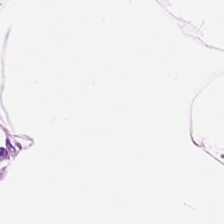224×224 px patch · H&E. Adipose tissue.
